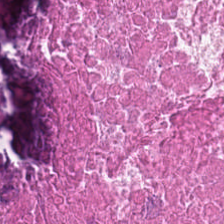20× equivalent magnification · H&E. Debris.
